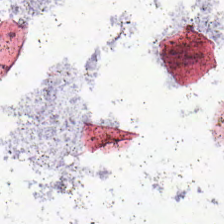Q: What is shown here?
A: The field shows background (no tissue).
